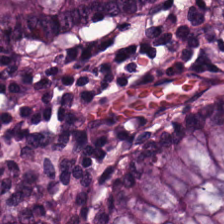Stain: H&E-stained tissue section.
Tissue: benign colonic mucosa.
